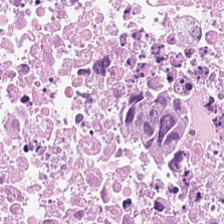Stain: H&E stain.
Resolution: 0.5 microns per pixel.
Preparation: formalin-fixed paraffin-embedded section.
Classification: necrotic debris.
